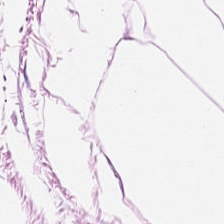H&E-stained tissue section.
Q: Classify this patch.
A: Fat tissue.
